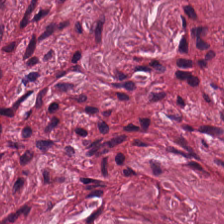Brightfield microscopy; H&E-stained tissue section; 224×224 px patch. The tissue here is tumor-associated stroma.
